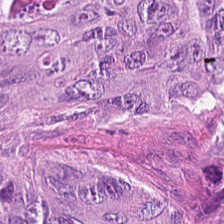H&E-stained tissue section — {"tissue_type": "adenocarcinoma"}
